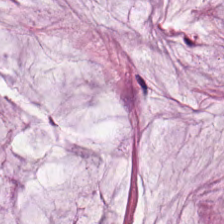Hematoxylin and eosin — {"tissue_type": "mucin"}
